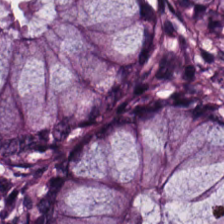H&E stain. Tissue type = normal colon mucosa.
